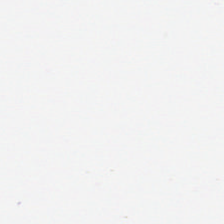224×224 pixel tile; H&E. This patch shows no tissue.
